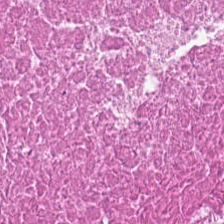H&E — cellular debris.
